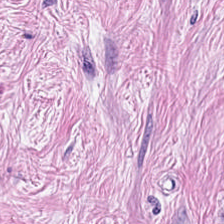H&E-stained tissue section. Tumor-associated stroma.
